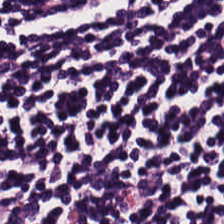0.5 microns per pixel · H&E-stained tissue section.
The predominant tissue is lymphoid infiltrate.
